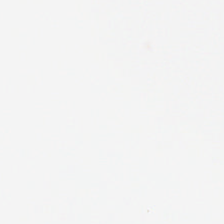H&E-stained tissue section — Empty field — background (no tissue).
